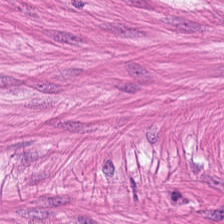0.5 µm/px. Hematoxylin and eosin.
The tissue is smooth muscle.
